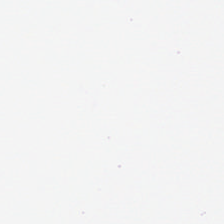Brightfield · H&E-stained tissue section. Classification — no tissue.
